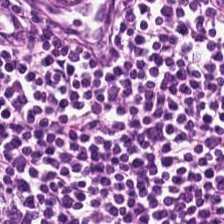Hematoxylin-and-eosin stained section · formalin-fixed paraffin-embedded section.
Q: What is the predominant tissue type?
A: This is lymphocytic infiltrate.
